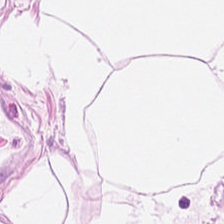Tissue type: adipocytes.
